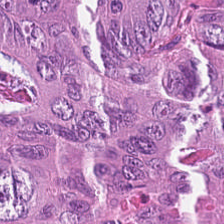0.5 µm/px. Hematoxylin and eosin — Tissue type = malignant epithelium.
